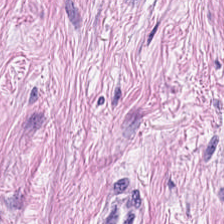Hematoxylin and eosin; FFPE. Predominant tissue — desmoplastic stroma.
